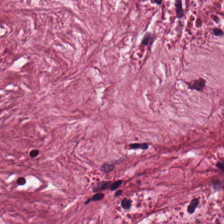Stain: H&E stain.
Tissue class: tumor stroma.
